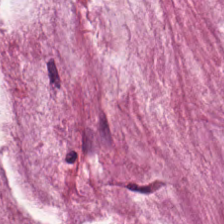Hematoxylin-and-eosin section: mucin.
